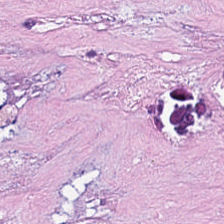Hematoxylin-and-eosin section: cellular debris.
